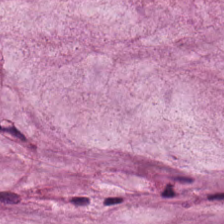FFPE tissue section · 20× equivalent magnification · hematoxylin and eosin.
Predominant tissue = mucus.
